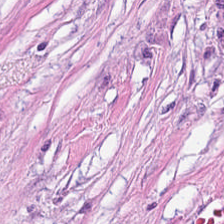H&E · WSI patch. Predominant tissue = cancer-associated stroma.
